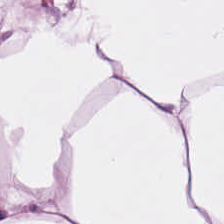Hematoxylin and eosin. 0.5 µm per pixel — Showing adipose tissue.
